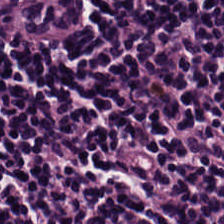Stain: hematoxylin-and-eosin stained section.
Tile size: 224×224 px patch.
Tissue type: lymphocytic infiltrate.
